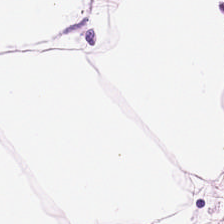H&E — adipose tissue.
